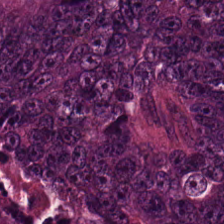H&E.
Histology — tumor epithelium.
